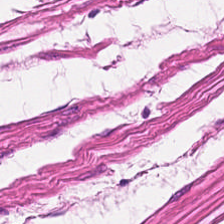Hematoxylin-and-eosin stained section.
Finding — muscularis.
